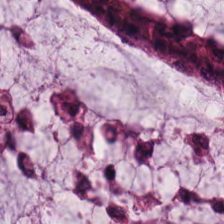H&E-stained tissue section. WSI patch.
Predominantly mucin.
